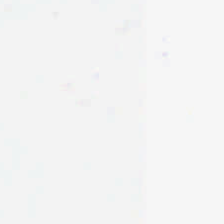Hematoxylin-and-eosin stained section. This patch shows empty background.
